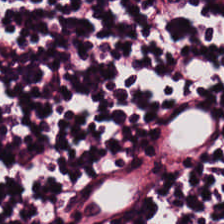Stain: hematoxylin-and-eosin stained section.
Classification: lymphocyte aggregate.
